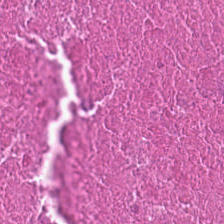Debris.
